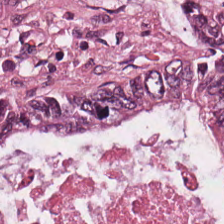H&E-stained tissue section — Q: What is shown here?
A: Tumor epithelium.
